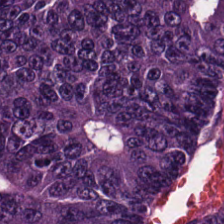224×224 px tile. H&E — Tissue — colorectal adenocarcinoma.
